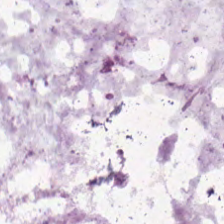Q: What is the predominant tissue type?
A: It is mucus.
